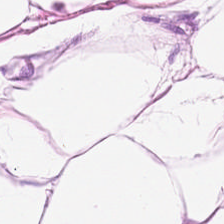224×224 px patch · H&E · 20× equivalent magnification. Q: What is shown in this field?
A: The field shows adipose tissue.
